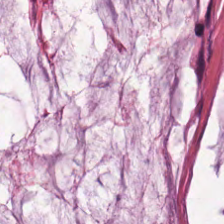H&E. Extracellular mucin.
